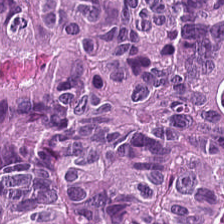Hematoxylin and eosin · brightfield. Classification — colorectal adenocarcinoma epithelium.
